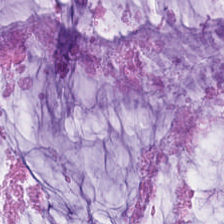WSI patch. 224×224 pixel tile. H&E stain. Mucin.
